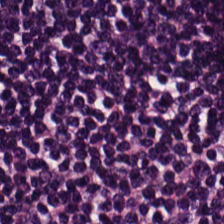Hematoxylin-and-eosin stained section.
Q: What is shown here?
A: The field shows lymphocyte aggregate.
